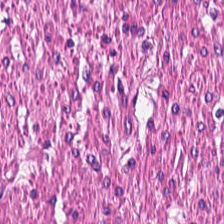224×224 px tile · hematoxylin and eosin · whole-slide-image patch — The predominant tissue is muscularis.
